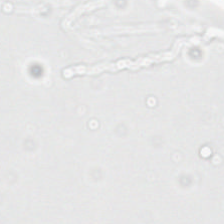Hematoxylin and eosin — Q: Classify this patch.
A: This is no tissue.
